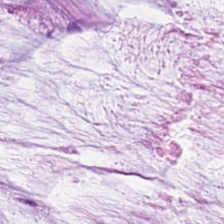224×224 px patch; H&E-stained tissue section — Impression → mucin.
